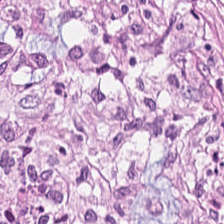Hematoxylin-and-eosin stained section · 224×224 pixel tile. Impression → cancer-associated stroma.
